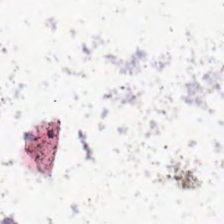H&E-stained tissue section.
Background — no tissue in this field.
